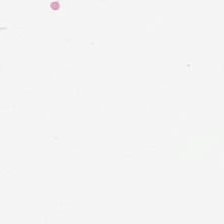Finding → no tissue.
